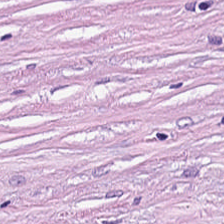Tissue: cancer-associated stroma.
